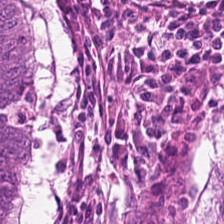H&E-stained section; the field shows colorectal adenocarcinoma epithelium.
